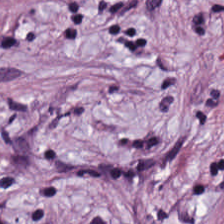The predominant tissue is desmoplastic stroma.
